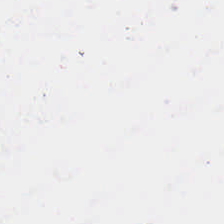H&E. 224×224 pixel tile.
Finding — background (no tissue).
